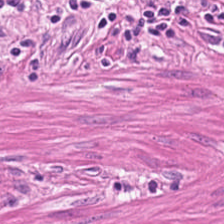H&E; 0.5 µm per pixel; FFPE — Predominantly smooth muscle.
